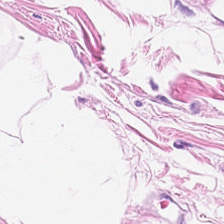H&E-stained tissue section.
This patch shows adipose tissue.
